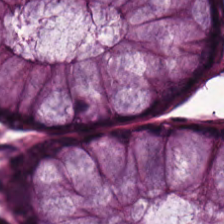Hematoxylin and eosin.
Q: What type of tissue is this?
A: The field shows benign colonic mucosa.
